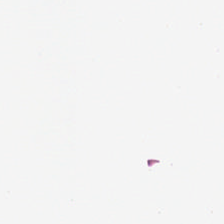Brightfield microscopy; hematoxylin-and-eosin stained section. Content = empty background.
